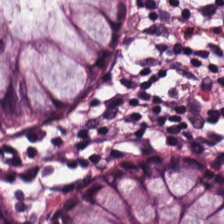Brightfield. H&E-stained tissue section. 224×224 pixel tile. The tissue here is benign colonic mucosa.
